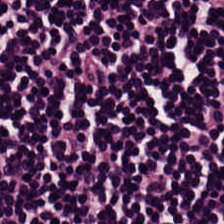Hematoxylin-and-eosin stained section. Lymphocytes.
